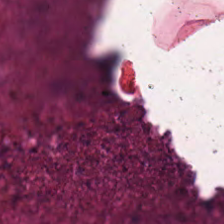Hematoxylin-and-eosin stained section — Histology → cellular debris.
